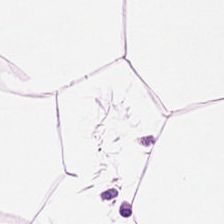{"tissue_type": "adipose tissue"}
